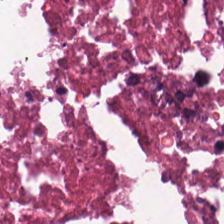Q: Identify the tissue.
A: It is debris.
